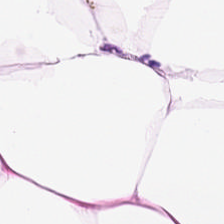224×224 px tile; hematoxylin-and-eosin stained section. This patch shows adipose.
